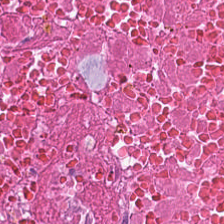20× equivalent magnification; 224×224 pixel tile; H&E.
Finding → debris.
